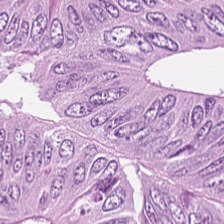Predominantly colorectal adenocarcinoma.
